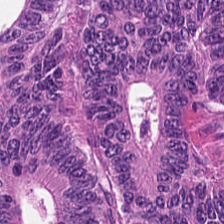Hematoxylin and eosin — Q: What tissue type is shown here?
A: Colorectal adenocarcinoma.
